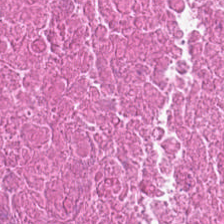H&E-stained tissue section — {"tissue_type": "cellular debris"}
